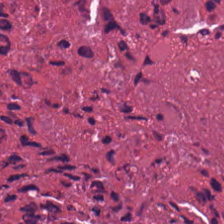Hematoxylin and eosin. 224×224 px tile.
Histology — necrotic debris.
